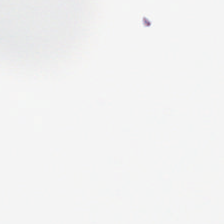Stain: H&E.
Classification: background (no tissue).
